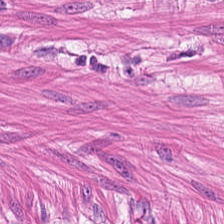Hematoxylin and eosin — This field is smooth-muscle tissue.
